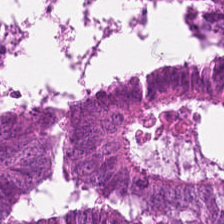Hematoxylin and eosin. Formalin-fixed paraffin-embedded section. Tissue type — colorectal adenocarcinoma.
